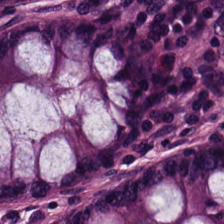Stain: hematoxylin-and-eosin stained section.
Tissue class: benign colonic mucosa.
